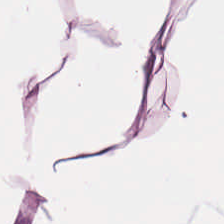{"tissue_type": "adipocytes"}
